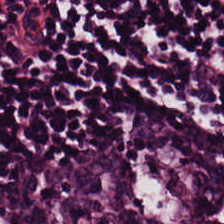Stain: hematoxylin-and-eosin stained section.
Tile size: 224×224 px tile.
Resolution: 20× equivalent magnification.
Tissue: lymphoid infiltrate.
